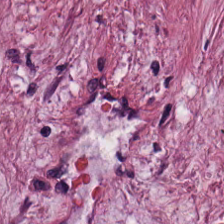0.5 µm/px · hematoxylin and eosin · whole-slide-image patch — Classification: desmoplastic stroma.
